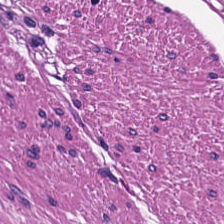Hematoxylin-and-eosin stained section; 0.5 µm/px; formalin-fixed paraffin-embedded section.
Q: What is shown here?
A: It is smooth muscle.
